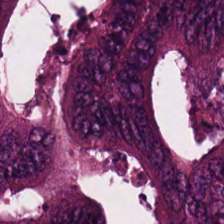Hematoxylin and eosin; brightfield microscopy; 224×224 px patch. The tissue type is tumor epithelium.
